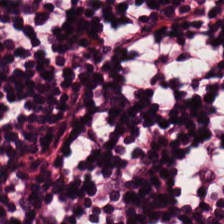Hematoxylin and eosin.
Predominant tissue = lymphocyte aggregate.
